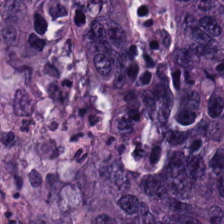H&E-stained tissue section. Showing adenocarcinoma.
